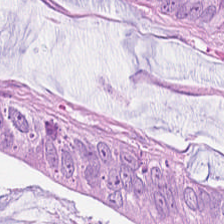Stain: hematoxylin and eosin.
Acquisition: whole-slide-image patch.
Tile size: 224×224 px tile.
Tissue: colorectal adenocarcinoma epithelium.
